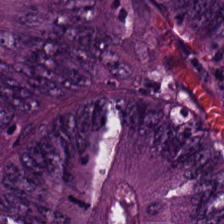H&E-stained tissue section.
Q: What is shown here?
A: It is adenocarcinoma.
